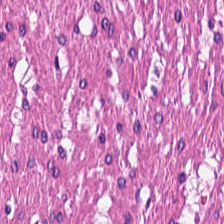H&E.
The tissue here is muscularis.
